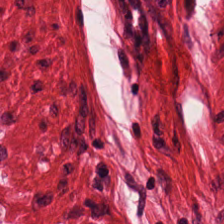Muscularis.
